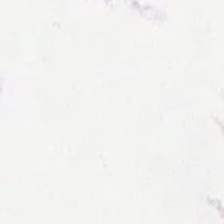No tissue present; background only.
